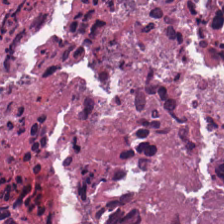Showing necrotic debris.
